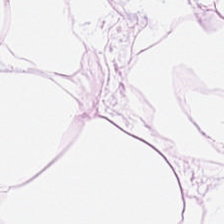H&E stain — Showing adipose tissue.
